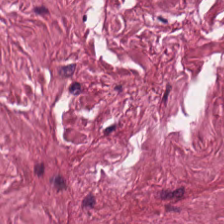H&E-stained tissue section. Q: Classify this patch.
A: This is tumor-associated stroma.
